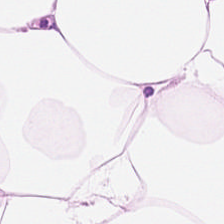Tissue class: adipose.
